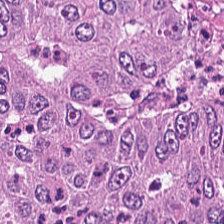H&E-stained tissue section · 0.5 microns per pixel — Predominant tissue — colorectal adenocarcinoma epithelium.
